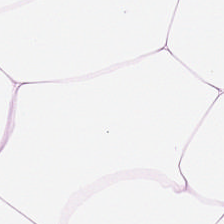H&E · 224×224 pixel tile — This field is fat tissue.
